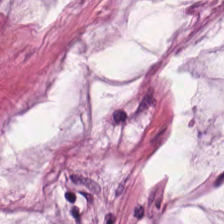0.5 µm/px. Formalin-fixed paraffin-embedded section. H&E stain — Predominant tissue — mucus.
